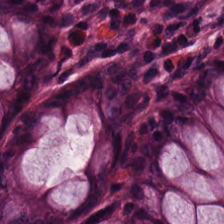Tissue class — normal colonic mucosa.
